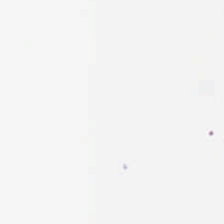H&E stain.
Empty field — no tissue.
